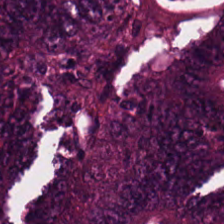Hematoxylin-and-eosin stained section. Predominant tissue: tumor epithelium.
